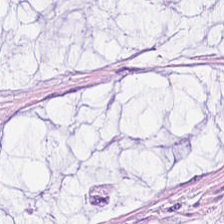H&E stain. 0.5 µm/px.
This patch shows mucus.
